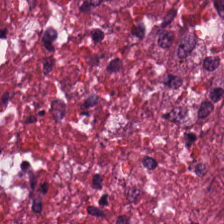Brightfield microscopy; formalin-fixed paraffin-embedded section; H&E-stained tissue section.
The predominant tissue is necrotic debris.
